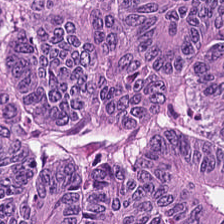H&E. 20× equivalent magnification. 224×224 px tile — Showing tumor epithelium.
